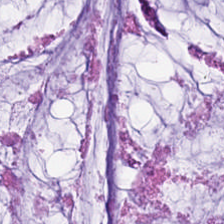{"tissue_type": "extracellular mucin"}
